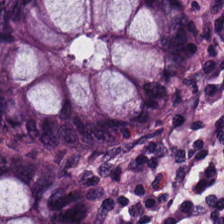H&E. Q: What does this patch show?
A: Normal colon mucosa.
